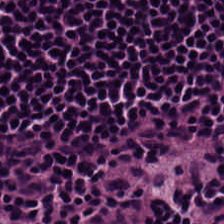224×224 px tile · H&E-stained tissue section. Q: What type of tissue is this?
A: The field shows lymphoid infiltrate.
